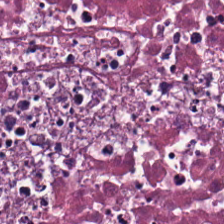0.5 microns per pixel; hematoxylin and eosin — Tissue — debris.
